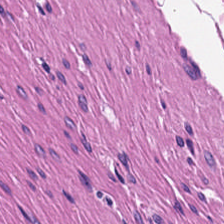224×224 px patch; H&E; 0.5 microns per pixel — Q: What is the predominant tissue type?
A: The field shows muscularis.
